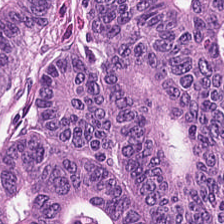The tissue class is malignant epithelium.
